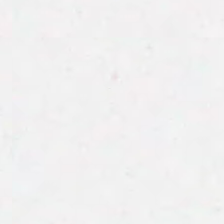H&E-stained tissue section.
Q: Classify this patch.
A: It is no tissue.
